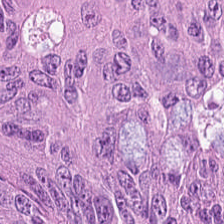Hematoxylin-and-eosin stained section — The tissue type is adenocarcinoma.
